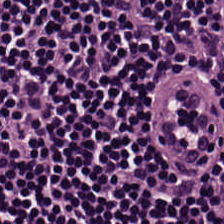Hematoxylin-and-eosin stained section — Tissue type: lymphocyte aggregate.
